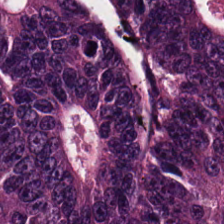Stain: H&E.
Acquisition: brightfield.
Tissue type: malignant epithelium.
